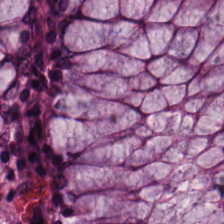Hematoxylin-and-eosin stained section. Q: What is shown here?
A: Non-neoplastic colon mucosa.
